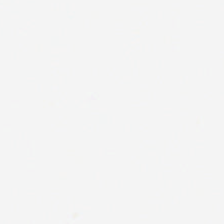H&E. 0.5 microns per pixel. WSI patch — Field content = no tissue.
